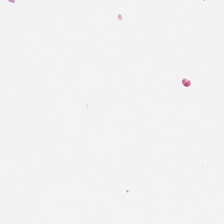Stain: hematoxylin-and-eosin stained section.
Content: no tissue.
